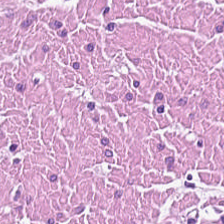Hematoxylin-and-eosin stained section — Predominantly smooth-muscle tissue.
